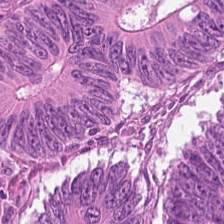WSI patch · hematoxylin and eosin — Finding → tumor epithelium.
